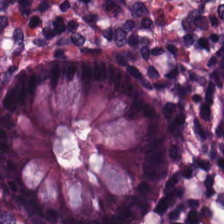H&E-stained tissue section — Predominantly non-neoplastic colon mucosa.
